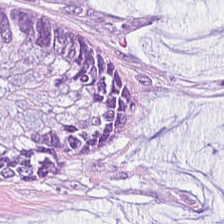FFPE tissue section · H&E. Classification: extracellular mucin.
